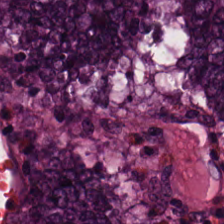Hematoxylin and eosin · FFPE tissue section. Q: What is shown here?
A: The field shows non-neoplastic colon mucosa.
